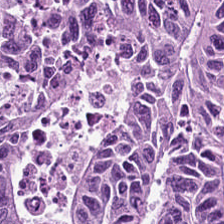Hematoxylin-and-eosin stained section. Finding — tumor epithelium.
